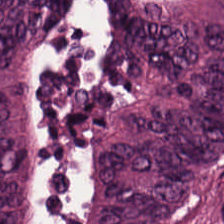Tissue type = malignant epithelium.
